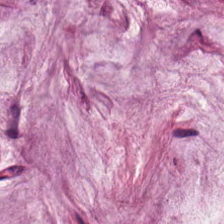Brightfield. H&E — Q: What is shown in this field?
A: This is extracellular mucin.
